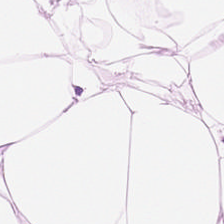H&E. {"tissue_type": "adipose tissue"}
